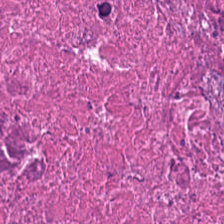224×224 pixel tile · hematoxylin and eosin · brightfield. Tissue class — necrotic debris.
